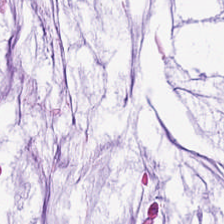Stain: H&E stain.
Tissue class: mucus.
